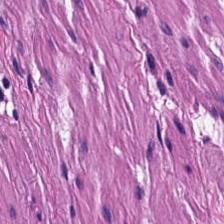Hematoxylin and eosin · 224×224 px tile. Finding → smooth-muscle tissue.
